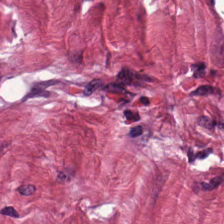Hematoxylin and eosin. 224×224 pixel tile. The tissue type is tumor stroma.
